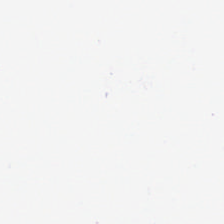Impression → background (no tissue).
